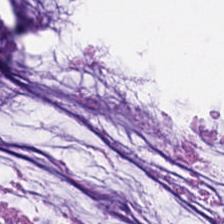Hematoxylin-and-eosin stained section.
Q: Identify the tissue.
A: Mucin.
